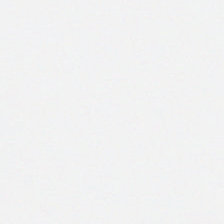H&E.
No tissue present; background only.
